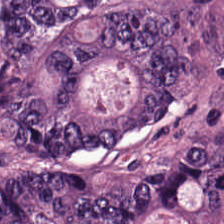0.5 microns per pixel; H&E stain.
Predominantly malignant epithelium.
